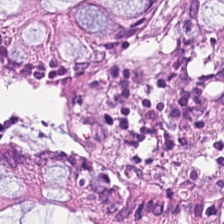The classification is normal colonic mucosa.
